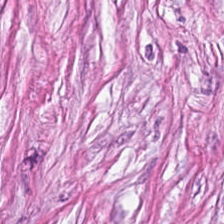20× equivalent magnification. H&E stain.
Finding — cancer-associated stroma.
